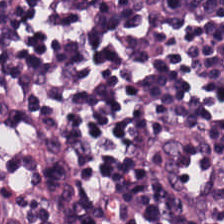H&E-stained tissue section; formalin-fixed paraffin-embedded section; brightfield. Tissue type = lymphoid infiltrate.
